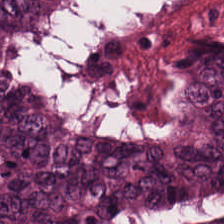Hematoxylin and eosin — Tissue type — malignant epithelium.
